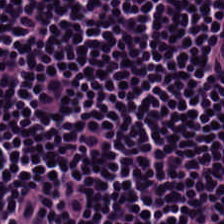Finding — lymphocytic infiltrate.
